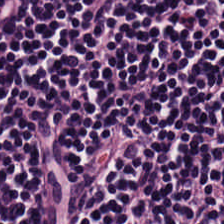Histology → lymphocytic infiltrate.
